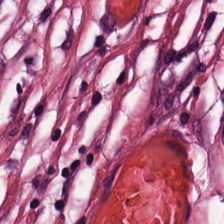Hematoxylin and eosin — Finding → cancer-associated stroma.
